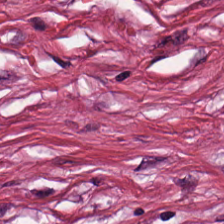H&E-stained tissue section.
Q: What tissue is shown?
A: Tumor stroma.
